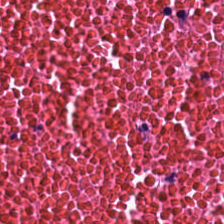H&E-stained tissue section.
Predominantly cellular debris.
